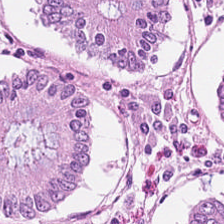The predominant tissue is normal colon mucosa.
